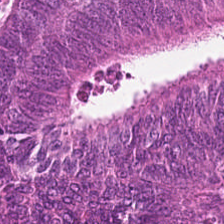224×224 px tile; formalin-fixed paraffin-embedded section; H&E-stained tissue section.
Showing colorectal adenocarcinoma.
